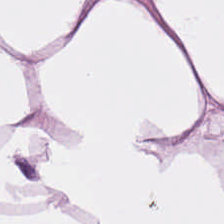Predominant tissue: adipocytes.
